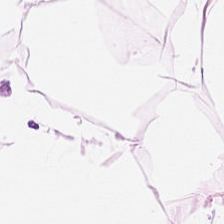Hematoxylin-and-eosin stained section. {"tissue_type": "adipocytes"}
